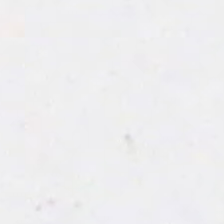H&E stain.
Q: What does this patch show?
A: It is background.
